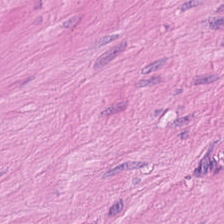Hematoxylin-and-eosin stained section. Tissue class: muscularis.
